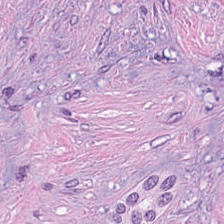FFPE. H&E.
Q: What type of tissue is this?
A: The field shows debris.
